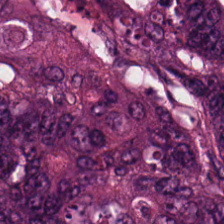224×224 px tile. H&E-stained tissue section. FFPE.
Q: What is shown in this field?
A: The field shows adenocarcinoma.
